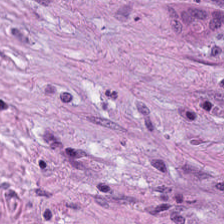Stain: H&E.
Tissue type: tumor-associated stroma.
